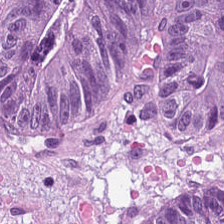Hematoxylin-and-eosin stained section. {"tissue_type": "colorectal adenocarcinoma epithelium"}
